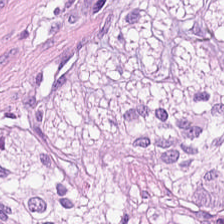Hematoxylin and eosin; 224×224 px patch.
Tissue type — smooth-muscle tissue.
